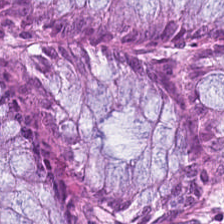Predominant tissue = normal colonic mucosa.
